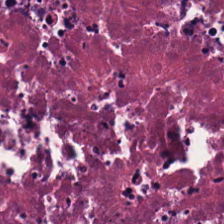FFPE; 224×224 px patch; H&E-stained tissue section — Predominant tissue: necrotic debris.
